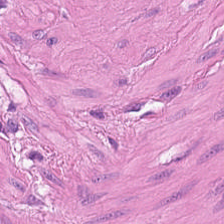Hematoxylin-and-eosin stained section — Smooth muscle.
